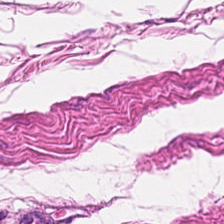H&E-stained tissue section · 0.5 microns per pixel · formalin-fixed paraffin-embedded section. Histology → smooth-muscle tissue.
